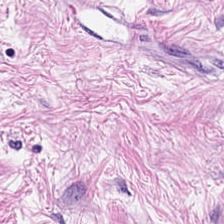H&E stain.
Q: What tissue type is shown here?
A: It is cancer-associated stroma.
